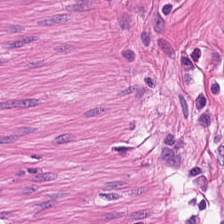H&E stain; 0.5 µm/px — Muscularis.
